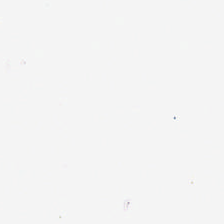H&E stain — This patch shows background.
